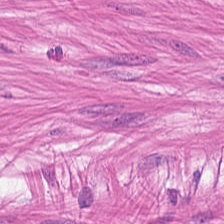Hematoxylin-and-eosin stained section.
Tissue class — smooth muscle.
